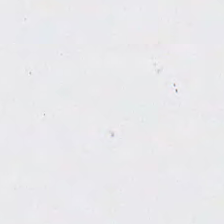Stain: H&E.
Tile size: 224×224 pixel tile.
Acquisition: WSI patch.
Classification: no tissue.
